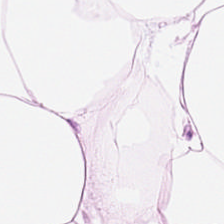H&E-stained tissue section showing adipose.
